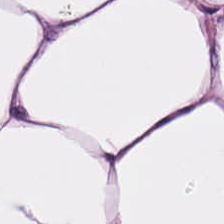WSI patch · hematoxylin and eosin — Q: Identify the tissue.
A: This is adipose.
